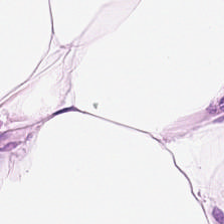224×224 pixel tile · H&E-stained tissue section · brightfield — Tissue = fat tissue.
